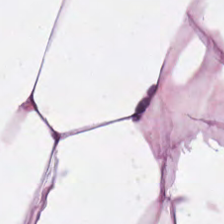Hematoxylin and eosin.
Finding — adipose tissue.
